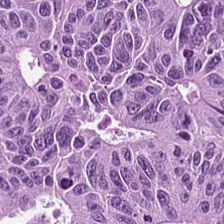H&E. Finding — adenocarcinoma.
